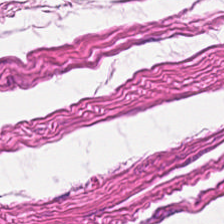0.5 microns per pixel; hematoxylin-and-eosin stained section — Q: What is shown here?
A: The field shows muscularis.
